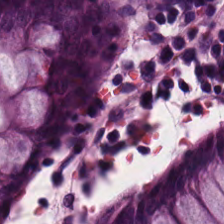H&E stain — Q: What type of tissue is this?
A: This is non-neoplastic colon mucosa.
